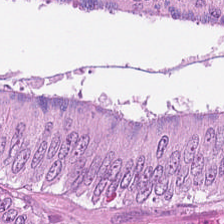Hematoxylin-and-eosin stained section.
Q: What tissue type is shown here?
A: It is colorectal adenocarcinoma epithelium.
